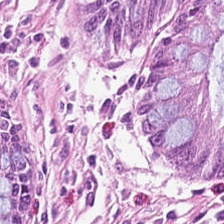Stain: H&E.
Tile size: 224×224 px tile.
Acquisition: whole-slide-image patch.
Classification: non-neoplastic colon mucosa.
